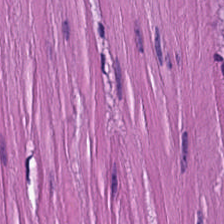Hematoxylin-and-eosin section: muscularis.
